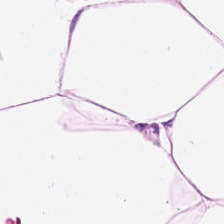FFPE tissue section; 0.5 microns per pixel; H&E — Tissue = fat tissue.
